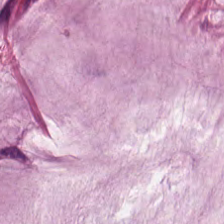Stain: hematoxylin-and-eosin stained section.
Tissue type: mucus.
